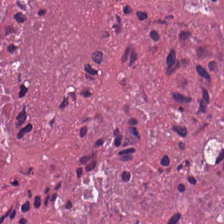20× equivalent magnification · H&E stain.
Necrotic debris.
